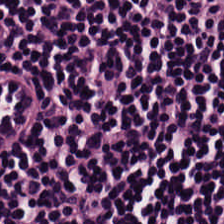Predominant tissue — lymphocytes.
